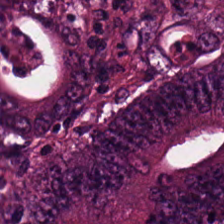Tissue: colorectal adenocarcinoma.
